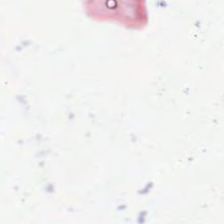This patch shows no tissue.
